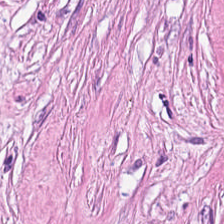Hematoxylin-and-eosin stained section. 0.5 microns per pixel — Q: What type of tissue is this?
A: Desmoplastic stroma.
